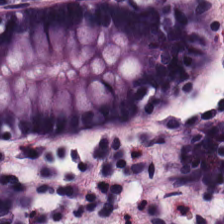H&E-stained tissue section.
Q: What type of tissue is this?
A: The field shows normal colonic mucosa.
